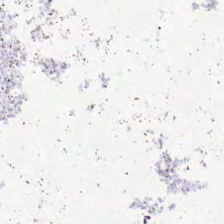H&E-stained tissue section. {"content": "no tissue"}
